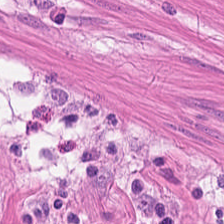0.5 microns per pixel; H&E-stained tissue section; 224×224 px patch. Smooth muscle.
